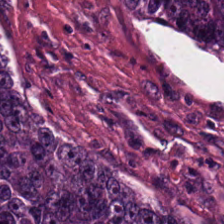Q: What is shown here?
A: This is colorectal adenocarcinoma.
